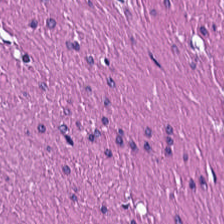H&E stain. Finding → smooth-muscle tissue.
